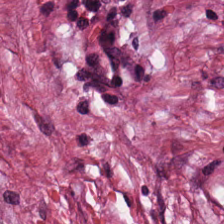{"tissue_type": "cancer-associated stroma"}
